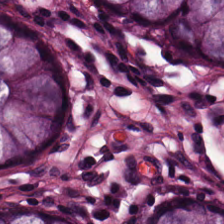H&E-stained tissue section — Tissue: normal colonic mucosa.
